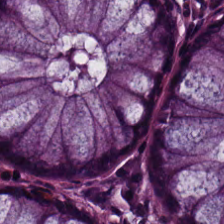Impression → benign colonic mucosa.
